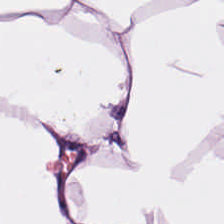H&E stain. Classification = adipose tissue.
